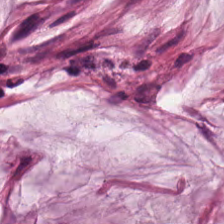H&E — mucus.
